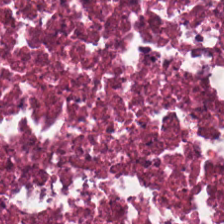H&E · 224×224 px tile. Predominant tissue — cellular debris.
